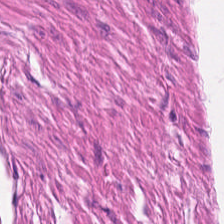H&E stain. Showing muscularis.
